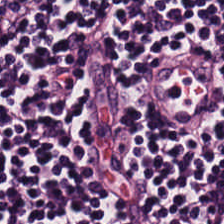H&E-stained tissue section. Q: What is shown in this field?
A: This is lymphocytes.
